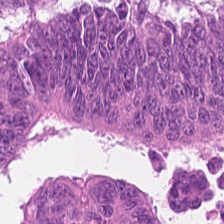FFPE; brightfield; hematoxylin-and-eosin stained section — Classification: colorectal adenocarcinoma epithelium.
